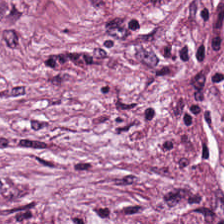H&E-stained tissue section.
The predominant tissue is tumor stroma.
